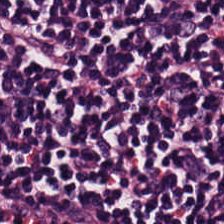H&E.
Showing lymphocytes.
